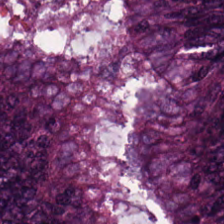Hematoxylin and eosin · 0.5 µm per pixel. Impression — colorectal adenocarcinoma.
